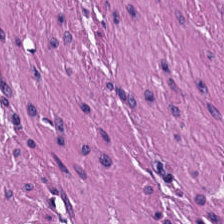Hematoxylin and eosin.
Tissue class — smooth-muscle tissue.
